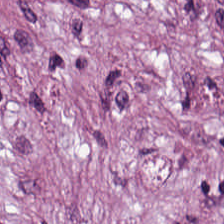Impression → cancer-associated stroma.
